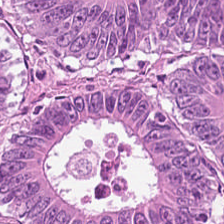H&E. The tissue class is malignant epithelium.
